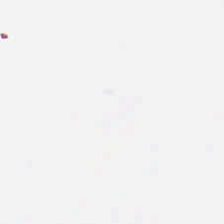This field is background (no tissue).
